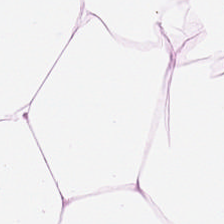0.5 µm per pixel · H&E-stained tissue section. This patch shows adipose tissue.
